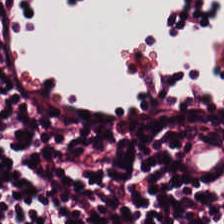H&E stain; 224×224 pixel tile; whole-slide-image patch — Showing lymphocytic infiltrate.
